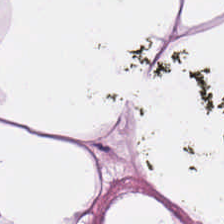Brightfield · H&E stain · FFPE tissue section.
Showing adipose.
